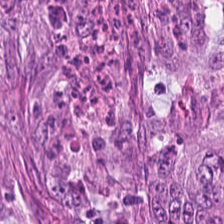Hematoxylin-and-eosin stained section. Predominantly adenocarcinoma.
